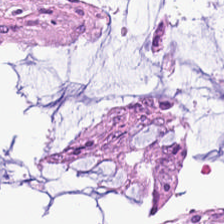Hematoxylin and eosin. Q: What tissue is shown?
A: It is normal colonic mucosa.
